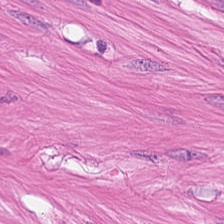Stain: hematoxylin and eosin.
Resolution: 0.5 µm/px.
Predominant tissue: smooth-muscle tissue.
